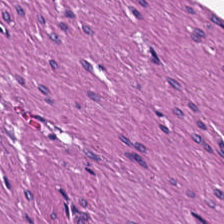Brightfield microscopy; hematoxylin and eosin — Smooth-muscle tissue.
